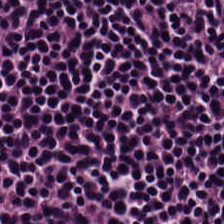H&E stain · 0.5 µm per pixel.
{"tissue_type": "lymphocyte aggregate"}
